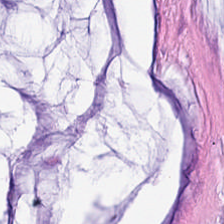0.5 µm per pixel. H&E-stained tissue section. 224×224 pixel tile — This field is mucin.
